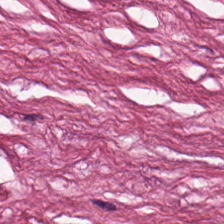H&E stain · FFPE. Q: What is shown here?
A: Debris.
